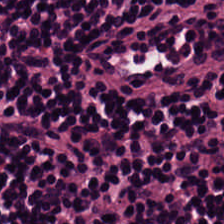H&E patch showing lymphocytic infiltrate.
